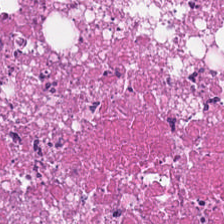H&E. Brightfield — {"tissue_type": "cellular debris"}
